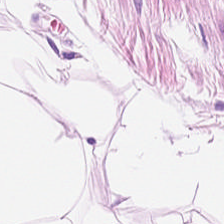224×224 px tile. Hematoxylin and eosin.
Q: What is shown in this field?
A: It is fat tissue.
